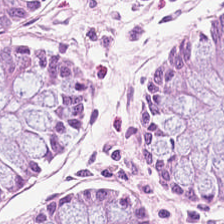H&E — Predominantly normal colonic mucosa.
